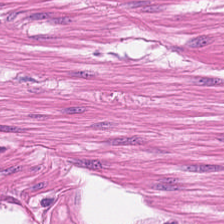Hematoxylin-and-eosin stained section.
Q: What is shown in this field?
A: This is smooth-muscle tissue.
